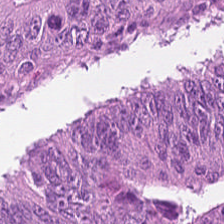Hematoxylin and eosin. Adenocarcinoma.
